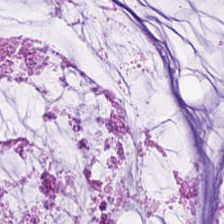Stain: H&E-stained tissue section.
Preparation: FFPE tissue section.
Tile size: 224×224 px patch.
Tissue class: mucin.
